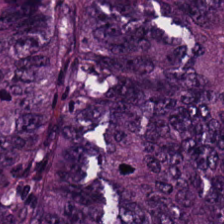Hematoxylin and eosin; 224×224 pixel tile. Showing colorectal adenocarcinoma epithelium.
